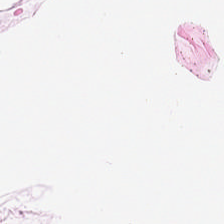H&E-stained tissue section.
Impression — fat tissue.
